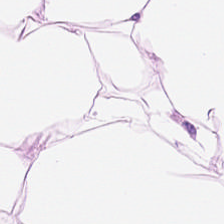WSI patch · H&E.
Predominant tissue: adipose.
